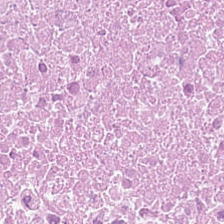Stain: H&E.
Tissue: debris.
